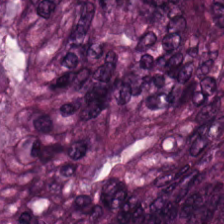H&E stain — The predominant tissue is tumor epithelium.
